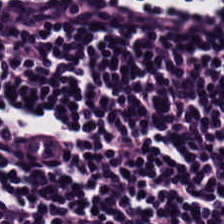Stain: hematoxylin-and-eosin stained section.
Predominant tissue: lymphocyte aggregate.
